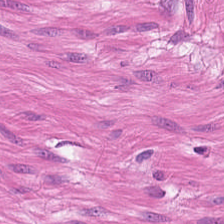Hematoxylin and eosin — The tissue here is smooth muscle.
